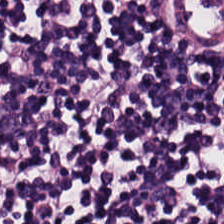Stain: H&E stain.
Predominant tissue: lymphocyte aggregate.
